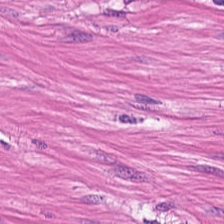Hematoxylin and eosin; FFPE tissue section.
Predominantly smooth-muscle tissue.
